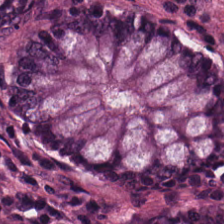H&E-stained tissue section showing normal colonic mucosa.
